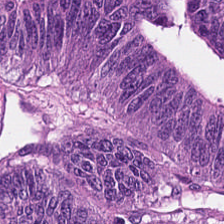Stain: hematoxylin-and-eosin stained section.
Predominant tissue: colorectal adenocarcinoma.
